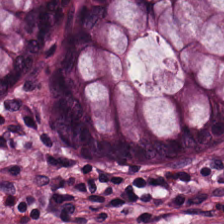Hematoxylin-and-eosin section: benign colonic mucosa.
